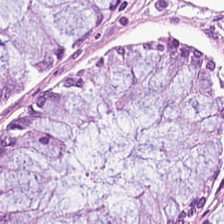H&E-stained tissue section — Impression → normal colon mucosa.
